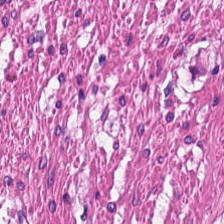Q: What is shown here?
A: This is muscularis.
